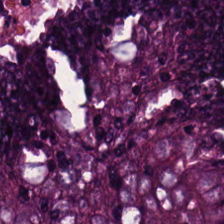H&E stain. The tissue type is colorectal adenocarcinoma.
